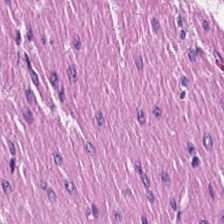This field is smooth-muscle tissue.
